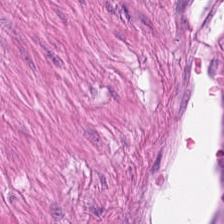Hematoxylin and eosin.
Q: Identify the tissue.
A: This is smooth-muscle tissue.
